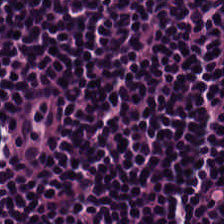H&E-stained tissue section; WSI patch; 224×224 px tile.
Tissue type — lymphocyte aggregate.
